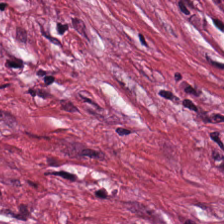Stain: H&E stain.
Predominant tissue: desmoplastic stroma.
